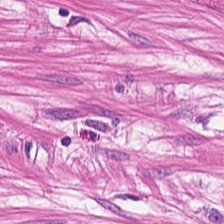This patch shows muscularis.
